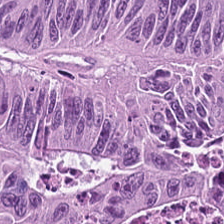Showing tumor epithelium.
